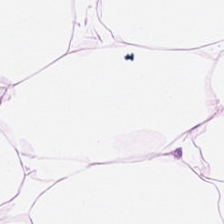Stain: hematoxylin-and-eosin stained section.
Tissue class: adipose.
